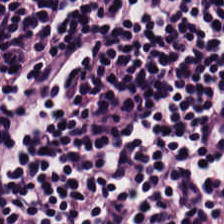Hematoxylin-and-eosin stained section. Tissue type = lymphoid infiltrate.
